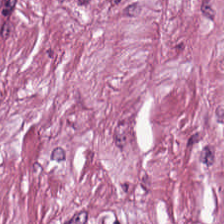Tissue type = tumor-associated stroma.
